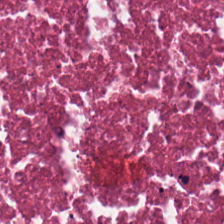Hematoxylin-and-eosin stained section — Q: What is shown here?
A: Necrotic debris.
